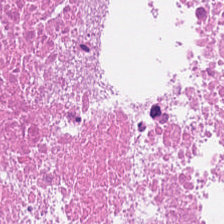0.5 µm per pixel · H&E-stained tissue section · whole-slide-image patch — Predominant tissue = cellular debris.
